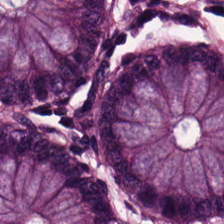WSI patch. Hematoxylin-and-eosin stained section. The tissue class is normal colon mucosa.
